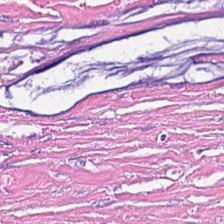Hematoxylin and eosin.
Impression — tumor stroma.
